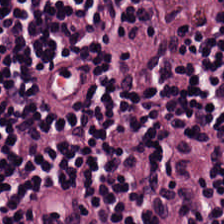Hematoxylin and eosin. The predominant tissue is lymphocytes.
